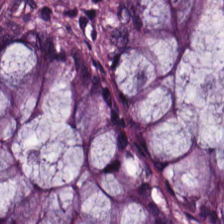Q: Identify the tissue.
A: It is benign colonic mucosa.
